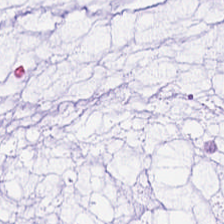Tissue class = mucin.
